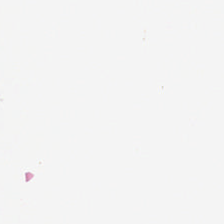Empty field — no tissue.
